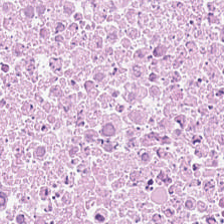H&E — Tissue class: debris.
